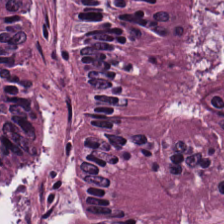H&E.
Predominant tissue — malignant epithelium.
